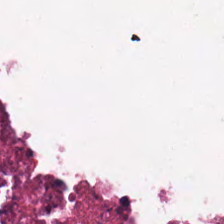Hematoxylin and eosin; 224×224 pixel tile — This field is cellular debris.
